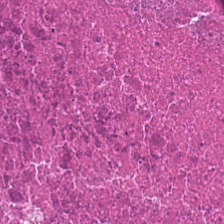0.5 µm per pixel. H&E stain. FFPE tissue section — Finding — necrotic debris.
